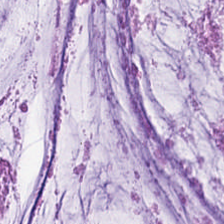Formalin-fixed paraffin-embedded section. Hematoxylin and eosin.
Q: Classify this patch.
A: It is extracellular mucin.
